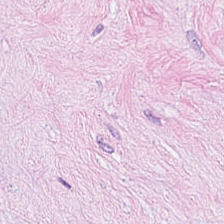H&E stain. This field is desmoplastic stroma.
